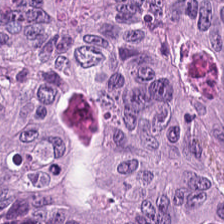H&E — Q: Identify the tissue.
A: Colorectal adenocarcinoma.
